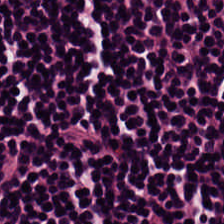The predominant tissue is lymphocyte aggregate.
